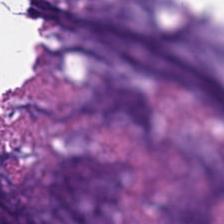FFPE. Hematoxylin-and-eosin stained section. 20× equivalent magnification.
Q: What tissue type is shown here?
A: This is mucus.
